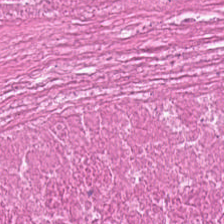H&E-stained tissue section; 0.5 µm/px; 224×224 px tile — Classification: cellular debris.
